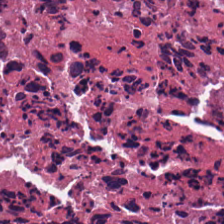H&E-stained tissue section. Q: Identify the tissue.
A: The field shows debris.
